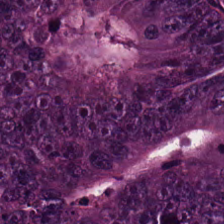Stain: H&E stain.
Preparation: FFPE.
Predominant tissue: malignant epithelium.
